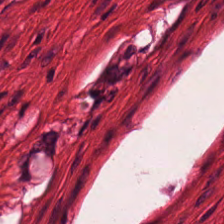H&E stain — Showing smooth-muscle tissue.
